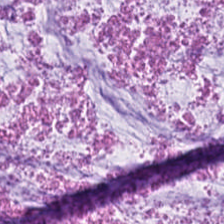H&E-stained tissue section · brightfield microscopy — The predominant tissue is mucus.
